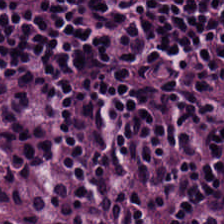Stain: H&E-stained tissue section.
Classification: lymphoid infiltrate.
